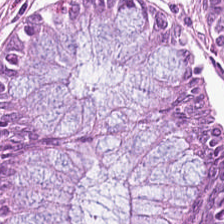Showing non-neoplastic colon mucosa.
